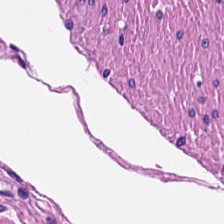H&E-stained tissue section; FFPE tissue section — Q: What is shown here?
A: It is smooth-muscle tissue.
